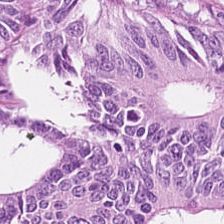H&E-stained tissue section; 0.5 µm/px — Tissue: tumor epithelium.
